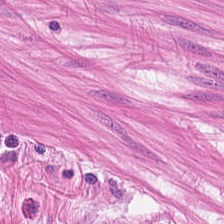H&E-stained tissue section. 224×224 px patch. FFPE.
Tissue type — smooth-muscle tissue.
